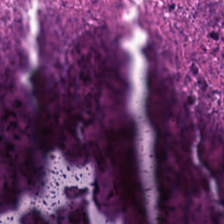224×224 px tile · H&E-stained tissue section · whole-slide-image patch.
Q: What is the predominant tissue type?
A: Cellular debris.
